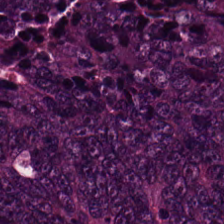20× equivalent magnification. Hematoxylin-and-eosin stained section.
The predominant tissue is malignant epithelium.
